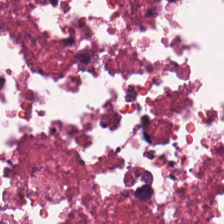The tissue here is cellular debris.
